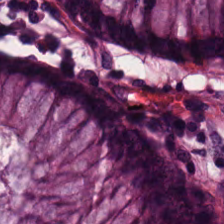Tissue: normal colon mucosa.
